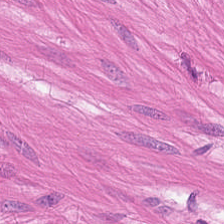0.5 microns per pixel · hematoxylin and eosin · formalin-fixed paraffin-embedded section.
Q: Classify this patch.
A: It is smooth muscle.
